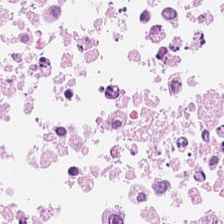FFPE tissue section. H&E stain — Tissue type — debris.
